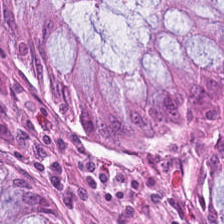FFPE · hematoxylin and eosin. Q: What does this patch show?
A: The field shows non-neoplastic colon mucosa.
